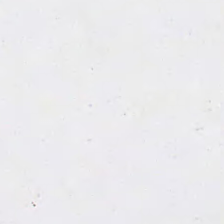Q: Classify this patch.
A: The field shows empty background.
